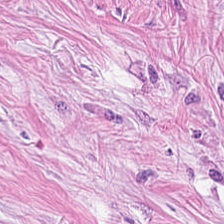224×224 px tile · FFPE · H&E. The tissue type is tumor-associated stroma.
